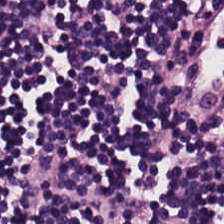Tissue class — lymphocytes.
